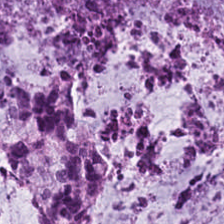H&E; FFPE. This patch shows mucin.
